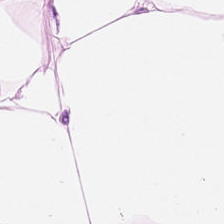Whole-slide-image patch. 224×224 pixel tile. H&E-stained tissue section.
{"tissue_type": "adipose"}
